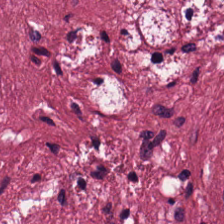224×224 px patch. Hematoxylin-and-eosin stained section. Whole-slide-image patch. The tissue here is tumor-associated stroma.
